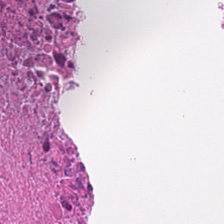Hematoxylin and eosin. Showing debris.
